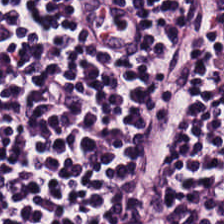H&E. Predominant tissue: lymphocytes.
